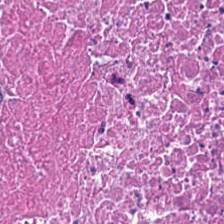Formalin-fixed paraffin-embedded section. Hematoxylin and eosin — Tissue = cellular debris.
